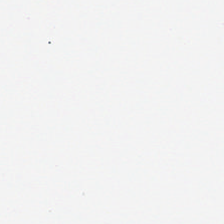Field content = empty background.
